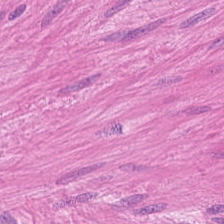224×224 px tile; H&E-stained tissue section; FFPE tissue section. The tissue class is muscularis.
